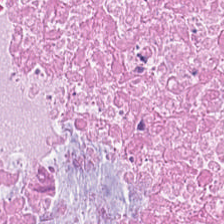Tissue — cellular debris.
